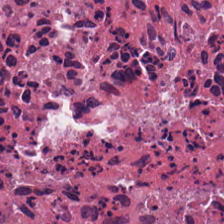Stain: H&E stain.
Classification: debris.
